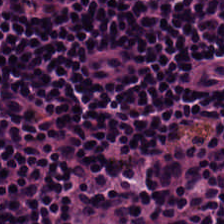Q: What is shown here?
A: Lymphocytic infiltrate.
